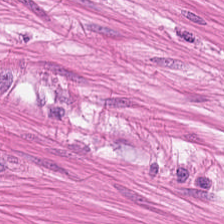Q: What tissue type is shown here?
A: Smooth muscle.
